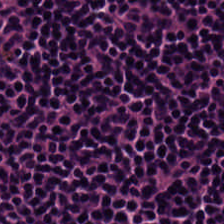FFPE · H&E stain — Histology → lymphocyte aggregate.
